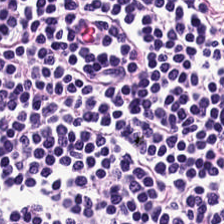Stain: H&E-stained tissue section.
Acquisition: brightfield.
Predominant tissue: lymphocytes.
